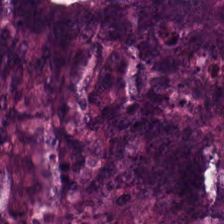Whole-slide-image patch; hematoxylin and eosin.
{"tissue_type": "adenocarcinoma"}
